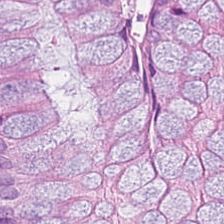Hematoxylin-and-eosin stained section.
Predominant tissue = normal colonic mucosa.
